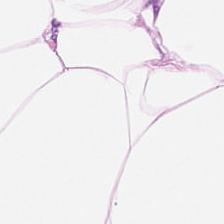H&E — This field is adipose.
